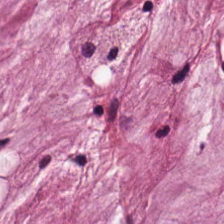Hematoxylin-and-eosin stained section. Brightfield. 0.5 µm/px. The predominant tissue is mucin.
